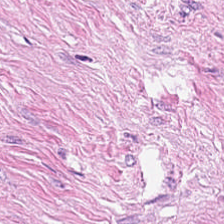Stain: hematoxylin-and-eosin stained section.
Acquisition: brightfield.
Tissue type: desmoplastic stroma.
